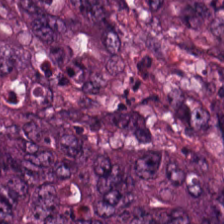Formalin-fixed paraffin-embedded section. H&E-stained tissue section. 224×224 px tile.
Histology → colorectal adenocarcinoma.
